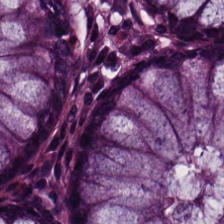224×224 px patch · H&E stain. {"tissue_type": "normal colonic mucosa"}
